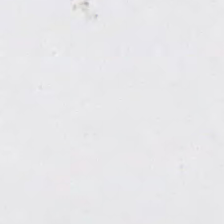Finding → no tissue.
